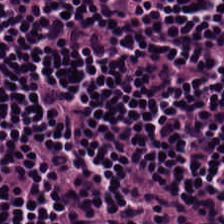Hematoxylin-and-eosin stained section. The tissue type is lymphocytic infiltrate.
